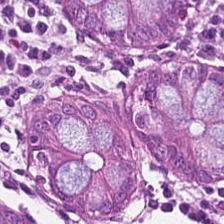224×224 pixel tile. FFPE tissue section. Hematoxylin-and-eosin stained section. This patch shows normal colonic mucosa.
